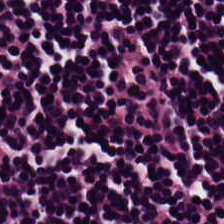H&E · 0.5 µm per pixel — Predominantly lymphoid infiltrate.
